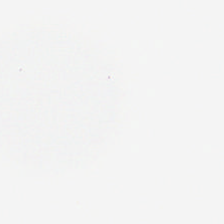No tissue present; background only.
